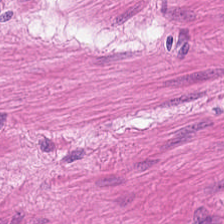Formalin-fixed paraffin-embedded section; whole-slide-image patch; hematoxylin and eosin. Q: What tissue is shown?
A: Muscularis.
